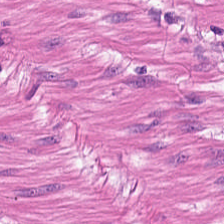FFPE; 224×224 px patch; hematoxylin and eosin — This patch shows muscularis.
